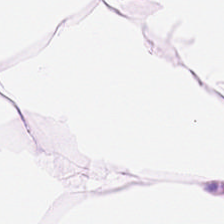Hematoxylin and eosin.
Q: What is shown in this field?
A: This is fat tissue.
